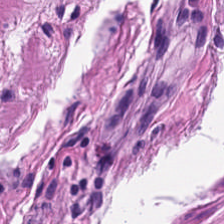WSI patch. H&E-stained tissue section. Tissue type = smooth-muscle tissue.
